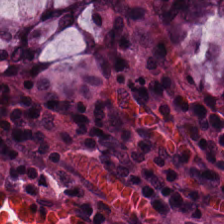FFPE tissue section. 224×224 px patch. H&E stain. Q: What tissue is shown?
A: Non-neoplastic colon mucosa.
